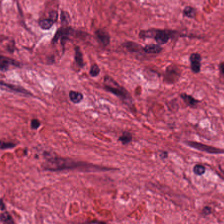The tissue type is tumor stroma.
